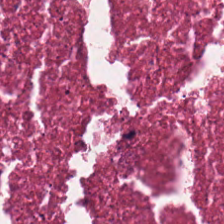Necrotic debris.
